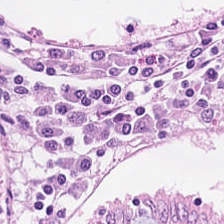Non-neoplastic colon mucosa.
